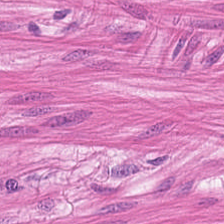H&E.
This patch shows smooth muscle.
